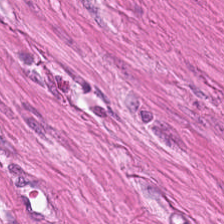Tissue type — muscularis.
